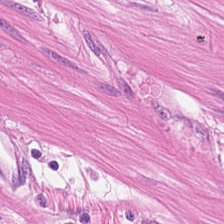H&E stain — {"tissue_type": "smooth-muscle tissue"}
